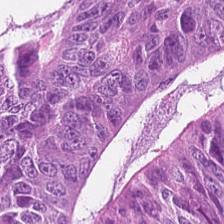Histology — colorectal adenocarcinoma epithelium.
